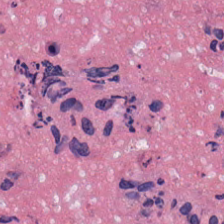The tissue here is cellular debris.
